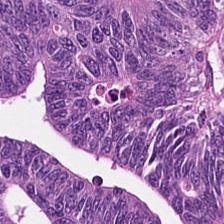Tissue = colorectal adenocarcinoma.
